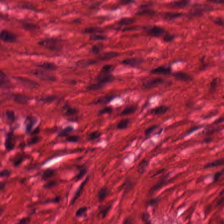Formalin-fixed paraffin-embedded section · H&E stain — The predominant tissue is smooth muscle.
